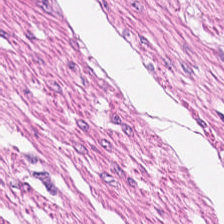Stain: hematoxylin-and-eosin stained section.
Predominant tissue: smooth-muscle tissue.
